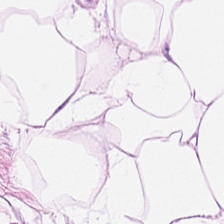Tissue: adipose tissue.
